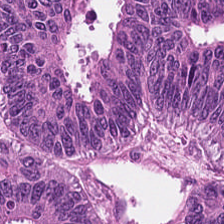Adenocarcinoma.
